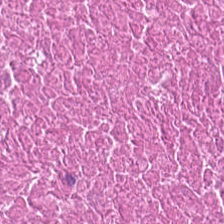Histology → necrotic debris.
